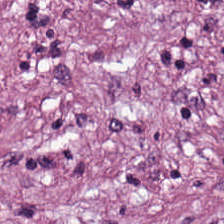H&E-stained tissue section.
Tissue class — tumor-associated stroma.
